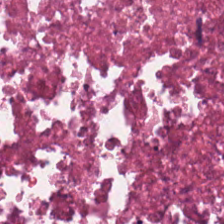Stain: hematoxylin-and-eosin stained section.
Preparation: FFPE tissue section.
Tissue class: necrotic debris.
